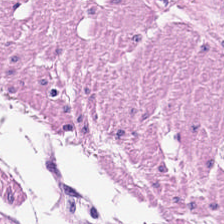Histology → smooth muscle.
